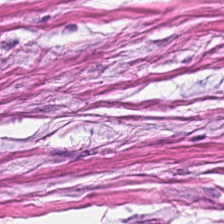H&E — {"tissue_type": "desmoplastic stroma"}
